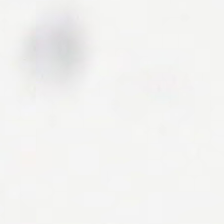H&E — No tissue present; background only.
